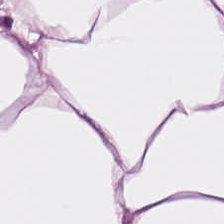Hematoxylin-and-eosin stained section — The predominant tissue is adipocytes.
